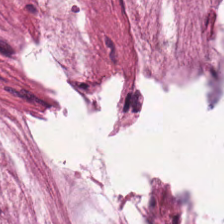H&E stain.
{"tissue_type": "mucus"}
